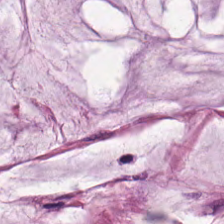Whole-slide-image patch · formalin-fixed paraffin-embedded section · hematoxylin-and-eosin stained section — Q: What is shown in this field?
A: It is extracellular mucin.
